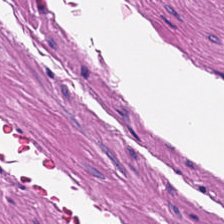H&E — Q: Classify this patch.
A: The field shows smooth muscle.
